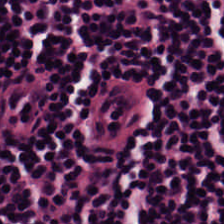Q: What tissue is shown?
A: The field shows lymphoid infiltrate.
